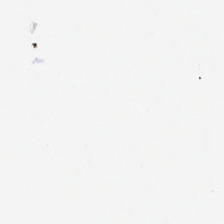Stain: H&E-stained tissue section.
Classification: no tissue.
